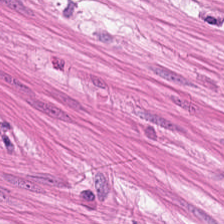H&E-stained tissue section.
Impression → smooth-muscle tissue.
